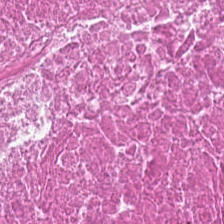Stain: hematoxylin-and-eosin stained section.
Tissue type: cellular debris.
